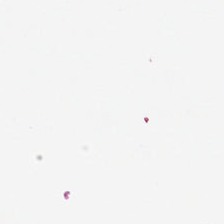Hematoxylin and eosin. Q: What does this patch show?
A: Empty background.
